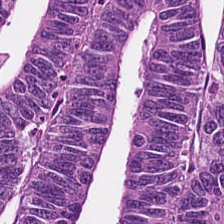Hematoxylin-and-eosin stained section. Tissue type — colorectal adenocarcinoma.
